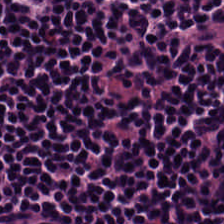Stain: H&E.
Tissue class: lymphocytes.
